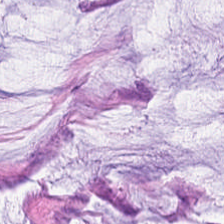FFPE · hematoxylin-and-eosin stained section — Q: Classify this patch.
A: This is mucus.
